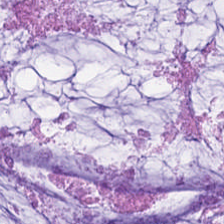The tissue here is mucin.
